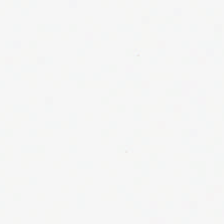H&E stain — Q: Classify this patch.
A: The field shows background.
